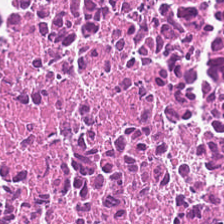Tissue type: cellular debris.
